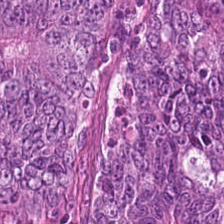Hematoxylin-and-eosin stained section — Tissue class — tumor epithelium.
